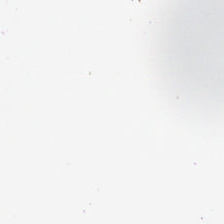H&E. 224×224 px tile. FFPE. Background.
